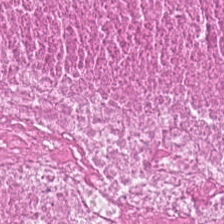The tissue type is necrotic debris.
